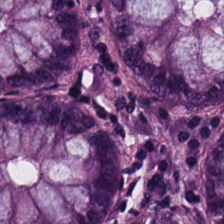Tissue class = normal colon mucosa.
